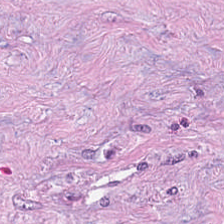H&E. 224×224 px tile — The predominant tissue is tumor-associated stroma.
